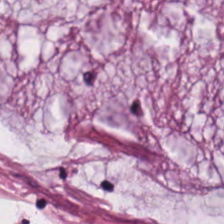Stain: hematoxylin and eosin.
Classification: extracellular mucin.
